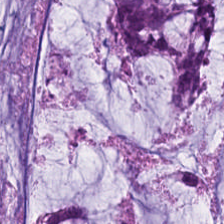FFPE · 224×224 px tile · hematoxylin and eosin.
Tissue type — mucus.
